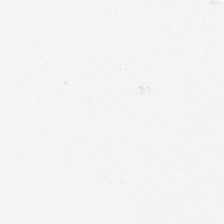H&E-stained tissue section.
{"content": "background (no tissue)"}
